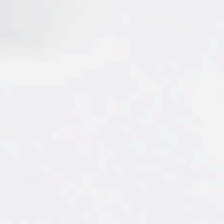Empty field — background (no tissue).
